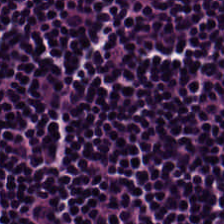H&E stain. Predominant tissue = lymphocytes.
